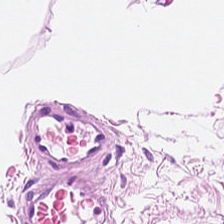Predominantly adipose tissue.
